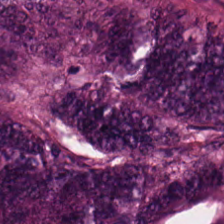Q: What tissue type is shown here?
A: The field shows malignant epithelium.
